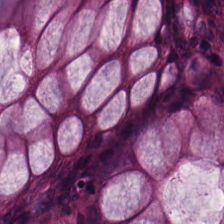The classification is normal colonic mucosa.
